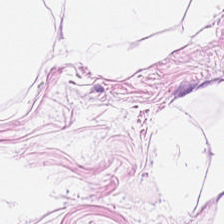H&E-stained tissue section · 0.5 microns per pixel.
Q: What tissue is shown?
A: This is adipose tissue.
